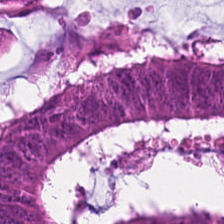Stain: H&E stain.
Tissue class: colorectal adenocarcinoma epithelium.
